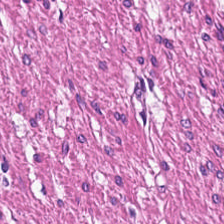H&E patch showing muscularis.
